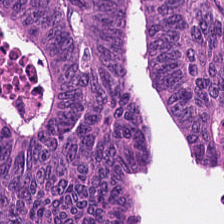WSI patch; H&E. The tissue here is adenocarcinoma.
